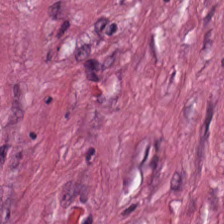{"tissue_type": "tumor stroma"}
